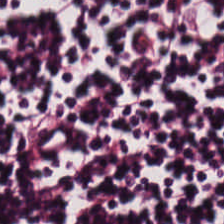Whole-slide-image patch; H&E-stained tissue section.
{"tissue_type": "lymphocyte aggregate"}
